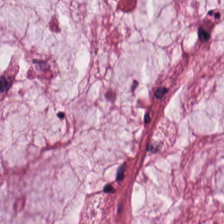H&E stain — Tissue = mucin.
